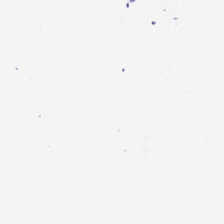0.5 µm/px. Hematoxylin-and-eosin stained section.
This patch shows background (no tissue).
